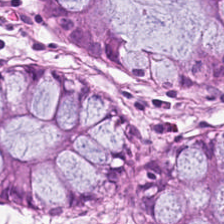Finding → non-neoplastic colon mucosa.
